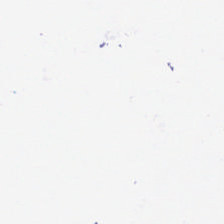FFPE; 224×224 pixel tile; hematoxylin and eosin — Content — empty background.
